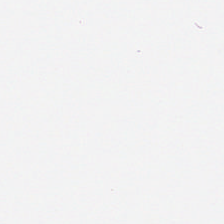Hematoxylin-and-eosin stained section. This patch shows background (no tissue).
